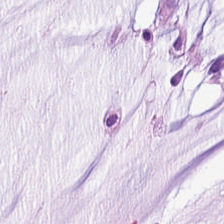H&E stain; FFPE; whole-slide-image patch — Tissue type: extracellular mucin.
